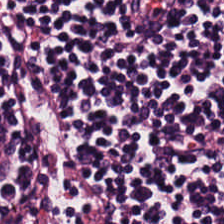Q: What is the predominant tissue type?
A: This is lymphocytes.
